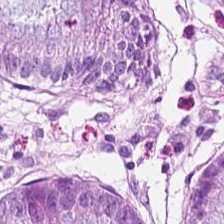H&E stain; 0.5 microns per pixel; FFPE tissue section.
Histology → benign colonic mucosa.
